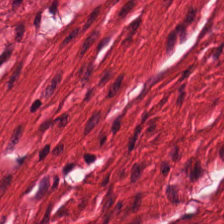224×224 px patch. H&E stain. Brightfield microscopy.
Predominantly muscularis.
